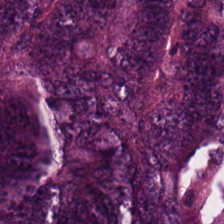Hematoxylin and eosin.
{"tissue_type": "colorectal adenocarcinoma"}
